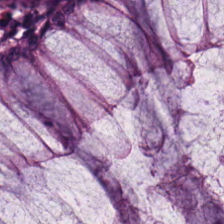224×224 px patch. FFPE tissue section. H&E stain — Tissue class — normal colon mucosa.
